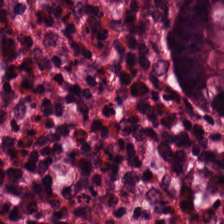Hematoxylin and eosin — Classification — normal colon mucosa.
